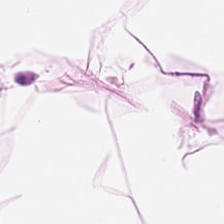Stain: hematoxylin and eosin.
Predominant tissue: adipose tissue.
